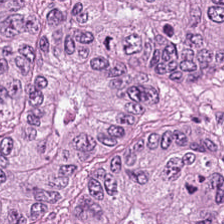Hematoxylin-and-eosin stained section.
Predominant tissue: colorectal adenocarcinoma.
